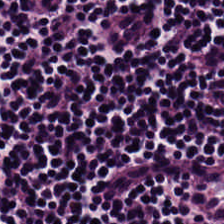Hematoxylin and eosin. Predominant tissue = lymphocyte aggregate.
